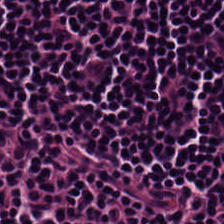H&E stain. Brightfield microscopy. Predominantly lymphoid infiltrate.
